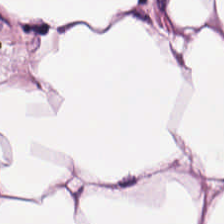FFPE · 20× equivalent magnification · H&E-stained tissue section.
Classification — adipose.
